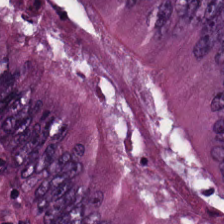H&E-stained tissue section showing malignant epithelium.
